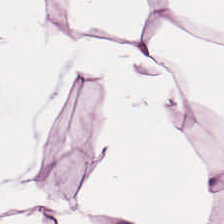Stain: hematoxylin-and-eosin stained section.
Tile size: 224×224 px patch.
Tissue: fat tissue.
